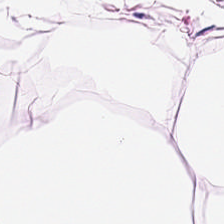H&E-stained tissue section — Q: What is shown here?
A: It is adipocytes.
